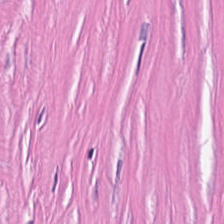WSI patch; H&E-stained tissue section; 224×224 px tile — {"tissue_type": "desmoplastic stroma"}
